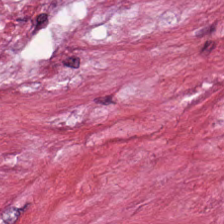H&E. Brightfield microscopy — The predominant tissue is tumor-associated stroma.
